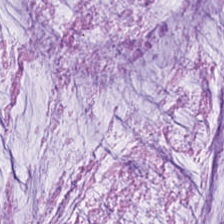Q: What tissue is shown?
A: Mucin.
